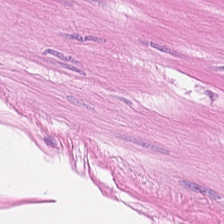224×224 px patch · H&E · 20× equivalent magnification — Smooth-muscle tissue.
